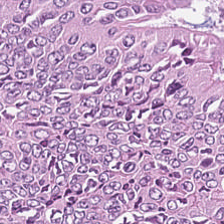Stain: H&E.
Tissue: colorectal adenocarcinoma.
